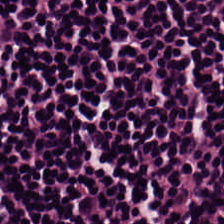Stain: hematoxylin-and-eosin stained section.
Tissue: lymphocytic infiltrate.
